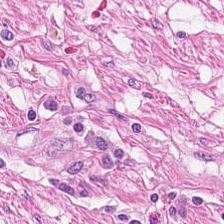This field is smooth-muscle tissue.
